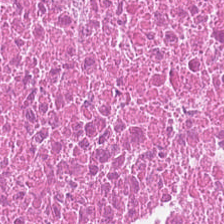H&E-stained tissue section showing necrotic debris.
